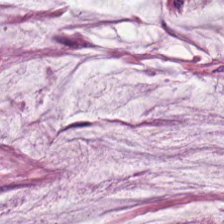Hematoxylin-and-eosin stained section; 0.5 µm per pixel — Showing mucus.
